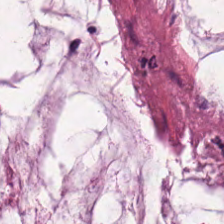0.5 µm/px · FFPE · H&E stain.
Showing mucin.
